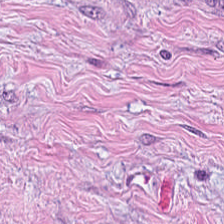Predominantly cancer-associated stroma.
